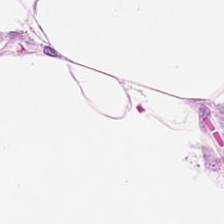Hematoxylin and eosin — Q: What type of tissue is this?
A: The field shows adipocytes.
